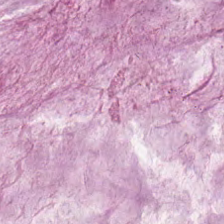H&E — Impression → mucin.
